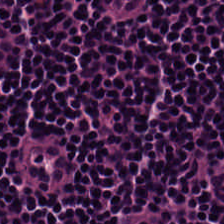Hematoxylin and eosin. 20× equivalent magnification. Tissue = lymphocytes.
